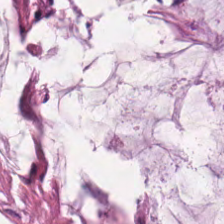Hematoxylin-and-eosin stained section — Predominant tissue = extracellular mucin.
